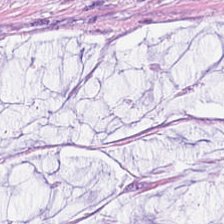Stain: hematoxylin and eosin.
Predominant tissue: mucus.
